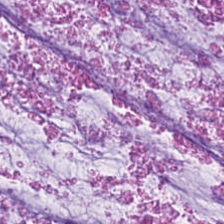The predominant tissue is mucin.
